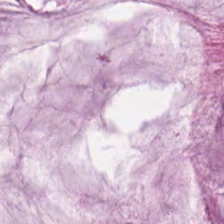H&E stain; 0.5 microns per pixel.
{"tissue_type": "mucus"}
